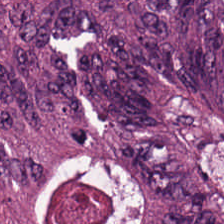Q: What tissue is shown?
A: Malignant epithelium.
